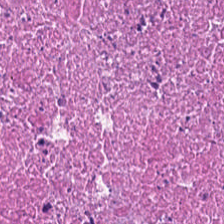Hematoxylin-and-eosin stained section. Q: What tissue type is shown here?
A: It is cellular debris.
